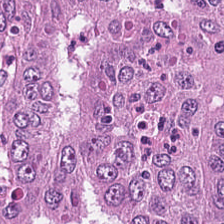224×224 px patch · H&E stain.
Q: What type of tissue is this?
A: The field shows malignant epithelium.
